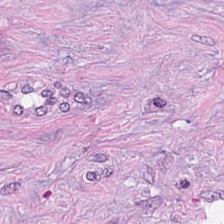224×224 px patch · H&E. The tissue type is tumor stroma.
